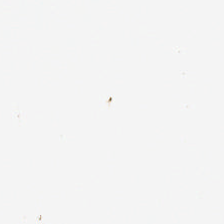Hematoxylin and eosin. The field content is background (no tissue).
